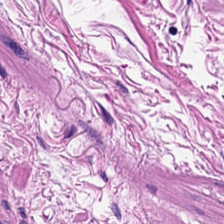H&E stain. 0.5 µm per pixel.
The tissue here is smooth muscle.
